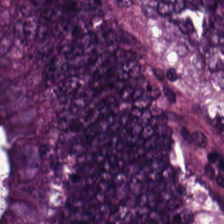Stain: H&E-stained tissue section.
Classification: colorectal adenocarcinoma epithelium.
